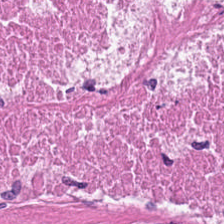Formalin-fixed paraffin-embedded section. H&E. Brightfield microscopy — This patch shows cellular debris.
